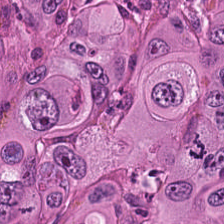Hematoxylin-and-eosin stained section. Finding → colorectal adenocarcinoma epithelium.
